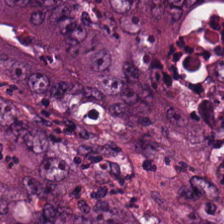H&E stain · 0.5 microns per pixel · WSI patch. Finding → colorectal adenocarcinoma epithelium.
